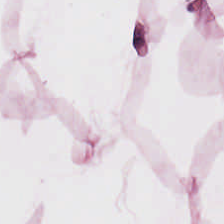H&E-stained tissue section — Q: What does this patch show?
A: Fat tissue.
